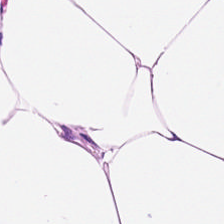H&E-stained tissue section — Adipocytes.
